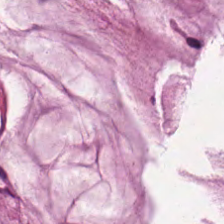H&E stain. 0.5 µm per pixel. {"tissue_type": "mucus"}
